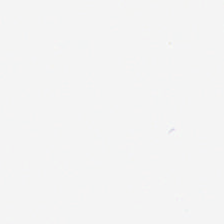224×224 pixel tile · FFPE tissue section · H&E stain — {"content": "background (no tissue)"}
